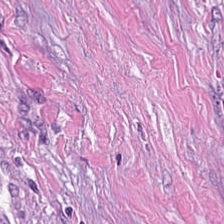Formalin-fixed paraffin-embedded section; H&E — This patch shows tumor stroma.
